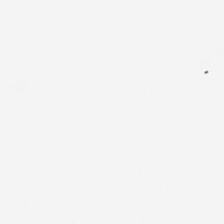Brightfield. H&E. 0.5 µm per pixel. Background — no tissue in this field.
